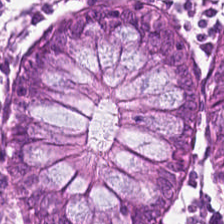Q: What is shown here?
A: It is normal colon mucosa.
